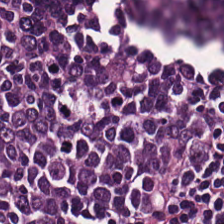H&E stain — {"tissue_type": "lymphocytic infiltrate"}
